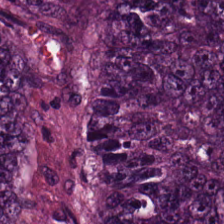H&E; 224×224 px patch.
Q: What type of tissue is this?
A: The field shows colorectal adenocarcinoma epithelium.
